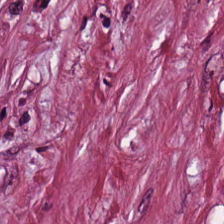FFPE tissue section; hematoxylin and eosin. Predominantly cancer-associated stroma.
